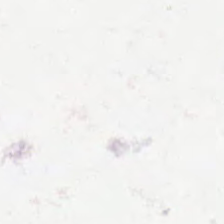H&E-stained tissue section. This patch shows background.
